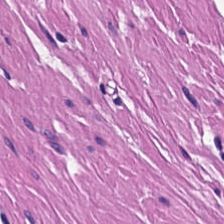H&E stain.
Smooth-muscle tissue.
